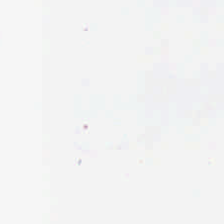20× equivalent magnification · hematoxylin-and-eosin stained section — Q: What is shown in this field?
A: The field shows background (no tissue).
